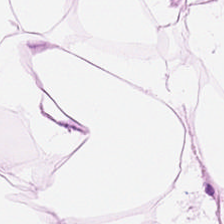H&E-stained tissue section. WSI patch. The tissue here is adipose.
